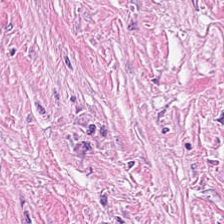H&E — Predominant tissue = tumor stroma.
